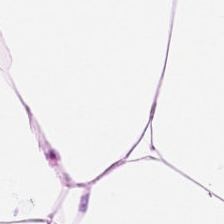0.5 µm per pixel; H&E-stained tissue section; FFPE. Q: Classify this patch.
A: The field shows fat tissue.
